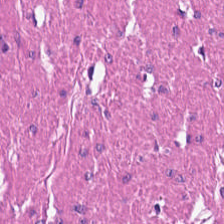Q: What tissue is shown?
A: Muscularis.
